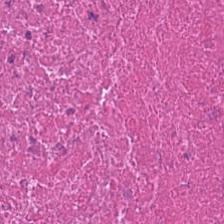H&E-stained tissue section. Formalin-fixed paraffin-embedded section. 0.5 µm per pixel — Finding — cellular debris.
